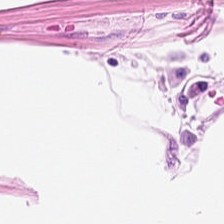Hematoxylin and eosin — Tissue = adipose.
